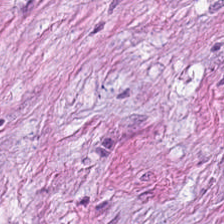Brightfield microscopy. FFPE tissue section. H&E-stained tissue section. Predominantly cancer-associated stroma.
